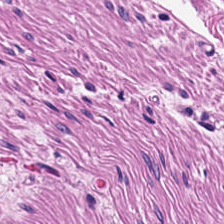H&E stain.
Q: Identify the tissue.
A: The field shows smooth-muscle tissue.
